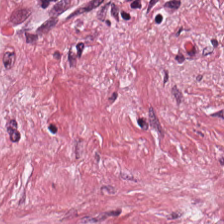Q: What is the predominant tissue type?
A: The field shows desmoplastic stroma.
